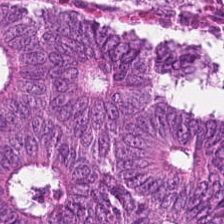Brightfield microscopy; hematoxylin and eosin.
The tissue here is adenocarcinoma.
